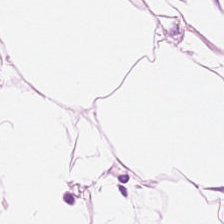The tissue type is adipose tissue.
